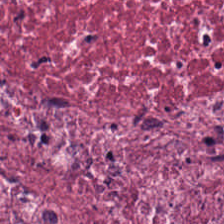H&E-stained tissue section.
Q: What is shown here?
A: Tumor stroma.
